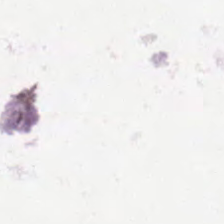Empty field — no tissue.
